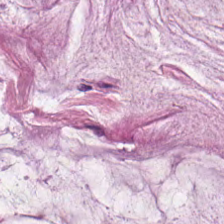224×224 pixel tile. H&E-stained tissue section — Q: What tissue is shown?
A: The field shows extracellular mucin.
